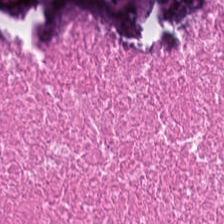H&E stain.
Tissue class — cellular debris.
